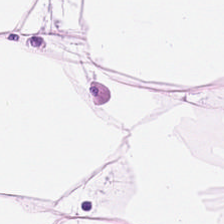Hematoxylin and eosin — Classification — adipose tissue.
